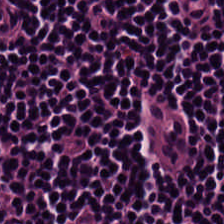Hematoxylin and eosin.
{"tissue_type": "lymphocyte aggregate"}
